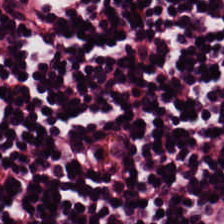Showing lymphocytic infiltrate.
